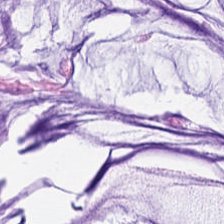Hematoxylin and eosin. Q: What is shown here?
A: This is extracellular mucin.
